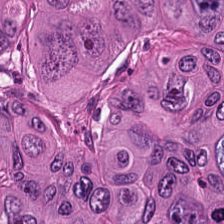Hematoxylin-and-eosin stained section. The predominant tissue is colorectal adenocarcinoma.
